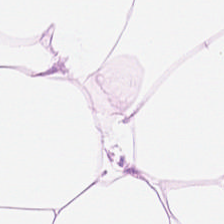224×224 px tile · brightfield · H&E stain — {"tissue_type": "fat tissue"}
